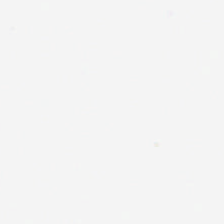Hematoxylin and eosin.
This field is background (no tissue).
